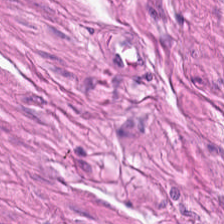H&E — muscularis.
